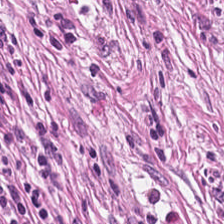H&E-stained tissue section.
The tissue here is desmoplastic stroma.
